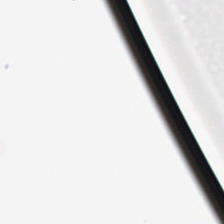Field content — no tissue.
